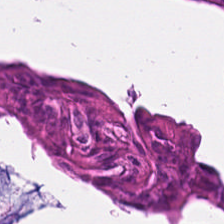224×224 pixel tile · hematoxylin and eosin.
{"tissue_type": "colorectal adenocarcinoma epithelium"}
